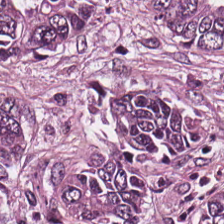Stain: hematoxylin and eosin.
Tissue type: malignant epithelium.
